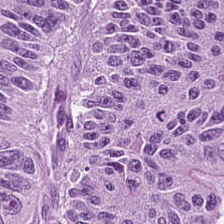Histology — colorectal adenocarcinoma epithelium.
